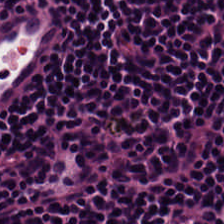H&E · 224×224 px tile · 0.5 microns per pixel.
Q: Classify this patch.
A: This is lymphoid infiltrate.
